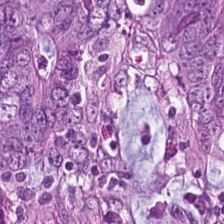Stain: hematoxylin and eosin.
Classification: adenocarcinoma.
